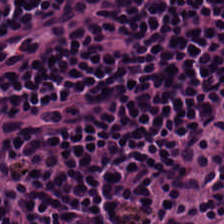WSI patch · H&E · 224×224 px tile. Showing lymphoid infiltrate.
